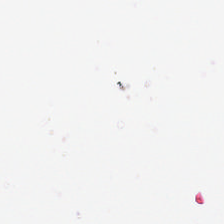H&E-stained tissue section.
Finding — background (no tissue).
